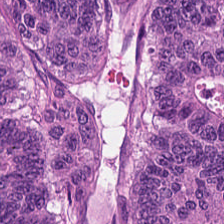0.5 µm per pixel · H&E — The tissue here is tumor epithelium.
